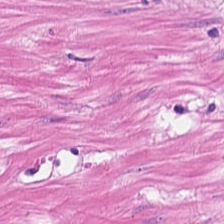Impression — muscularis.
